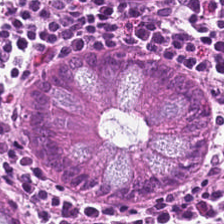H&E; 0.5 µm/px; FFPE tissue section. Tissue type = non-neoplastic colon mucosa.
